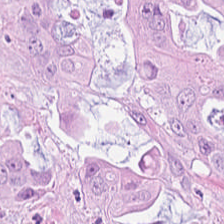Q: What does this patch show?
A: The field shows colorectal adenocarcinoma epithelium.
